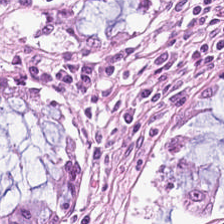Classification — normal colonic mucosa.
